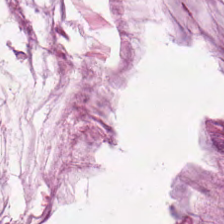0.5 µm per pixel; H&E stain; FFPE.
Tissue type: mucus.
